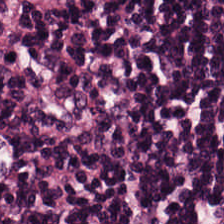Stain: hematoxylin-and-eosin stained section.
Acquisition: WSI patch.
Tissue type: lymphocyte aggregate.
